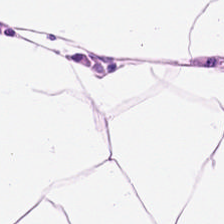224×224 pixel tile. H&E-stained tissue section — Fat tissue.
